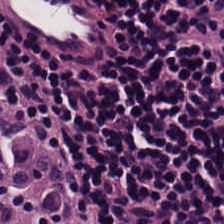Hematoxylin and eosin.
Q: Identify the tissue.
A: This is lymphocytes.
